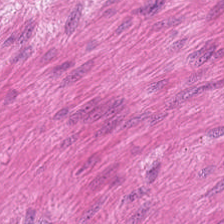Q: What tissue type is shown here?
A: Smooth muscle.
